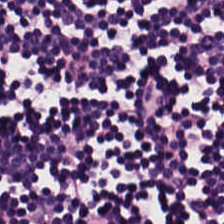H&E · 224×224 pixel tile.
Lymphocyte aggregate.
